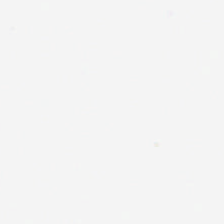0.5 µm/px; 224×224 px tile; H&E-stained tissue section. No tissue present; background only.
